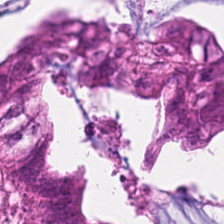H&E stain. 224×224 px patch. 0.5 µm/px.
Tissue class: adenocarcinoma.
